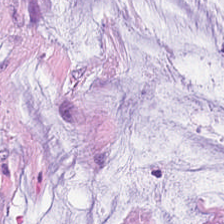Impression → mucus.
